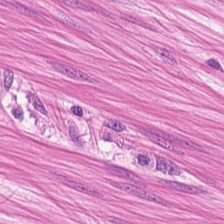H&E — Impression → smooth-muscle tissue.
